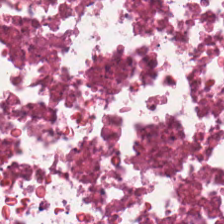Necrotic debris.
